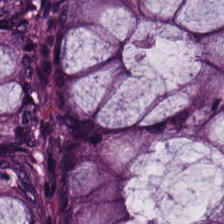H&E stain; 0.5 µm/px. The predominant tissue is non-neoplastic colon mucosa.
